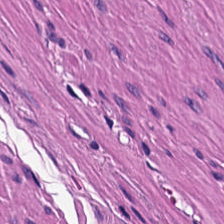Hematoxylin and eosin.
Classification — smooth-muscle tissue.
